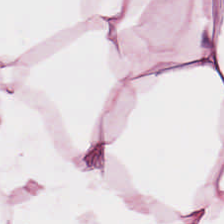Hematoxylin-and-eosin stained section. Q: What is shown in this field?
A: It is adipose.
